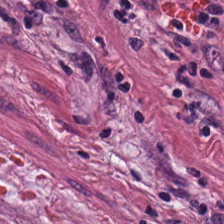20× equivalent magnification. H&E.
Q: Identify the tissue.
A: The field shows cancer-associated stroma.
